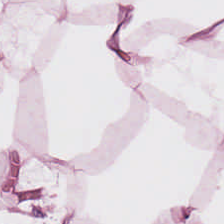H&E stain. Brightfield microscopy. 224×224 px tile. Predominantly adipose tissue.
